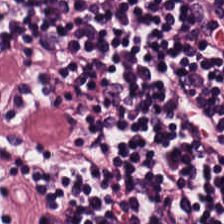WSI patch · hematoxylin-and-eosin stained section — {"tissue_type": "lymphocytic infiltrate"}
